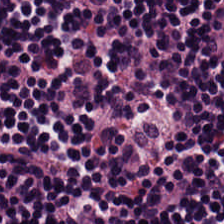Stain: hematoxylin and eosin.
Tissue type: lymphocyte aggregate.
